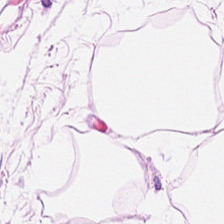H&E-stained tissue section; 0.5 µm/px; FFPE tissue section — Classification — adipocytes.
